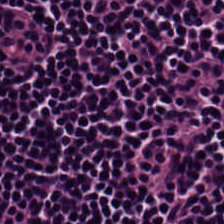H&E stain — Tissue — lymphocyte aggregate.
